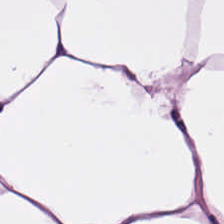Hematoxylin-and-eosin stained section.
{"tissue_type": "adipose"}
